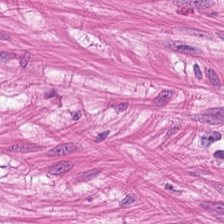H&E stain.
The tissue here is smooth muscle.
